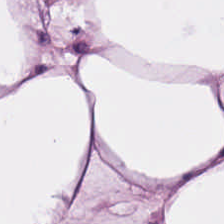The tissue is adipose.
